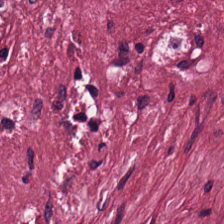H&E-stained tissue section. 0.5 µm per pixel.
Q: What type of tissue is this?
A: This is tumor-associated stroma.
